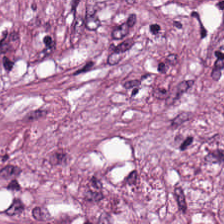0.5 microns per pixel · H&E.
This field is desmoplastic stroma.
